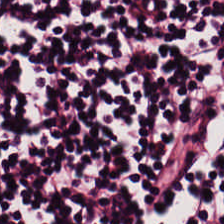Predominantly lymphocytes.
